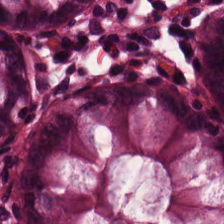H&E stain. This field is normal colonic mucosa.
